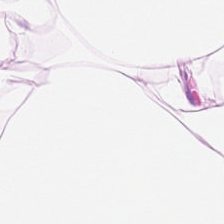H&E stain.
Predominant tissue = adipocytes.
